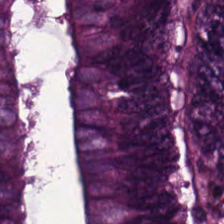H&E stain — {"tissue_type": "colorectal adenocarcinoma epithelium"}
